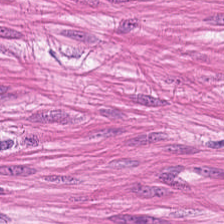H&E stain. Predominantly muscularis.
